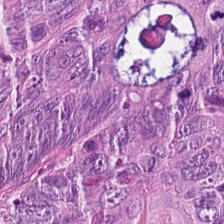224×224 pixel tile; hematoxylin-and-eosin stained section. This patch shows adenocarcinoma.
